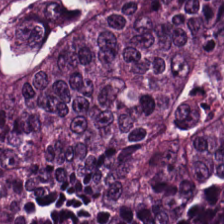Q: What is shown in this field?
A: Tumor epithelium.
